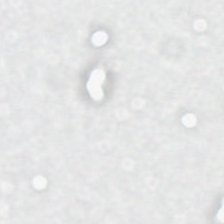H&E stain. Classification = empty background.
